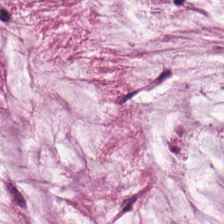H&E-stained tissue section — Histology — extracellular mucin.
